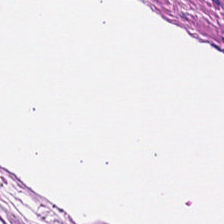Stain: hematoxylin and eosin.
Classification: smooth-muscle tissue.
